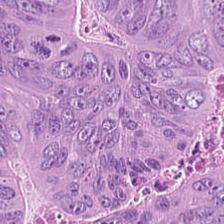224×224 px patch. Brightfield. H&E stain — Q: Identify the tissue.
A: Colorectal adenocarcinoma epithelium.
